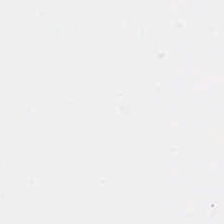Empty field — empty background.
